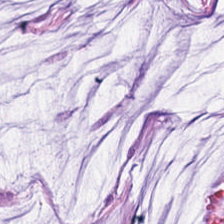FFPE. 0.5 µm/px. H&E-stained tissue section — Predominant tissue = mucus.
